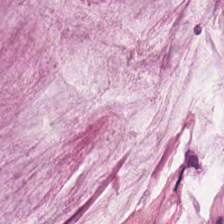Tissue = extracellular mucin.
